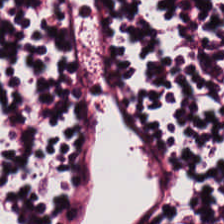H&E-stained tissue section. 224×224 px tile. Brightfield microscopy — Q: What tissue type is shown here?
A: Lymphocytes.
